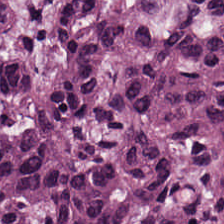Hematoxylin and eosin · whole-slide-image patch · 224×224 pixel tile. This patch shows adenocarcinoma.
